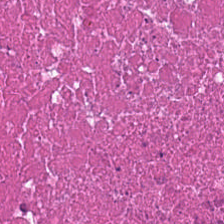H&E-stained tissue section — Histology → cellular debris.
